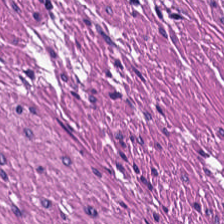0.5 µm/px · H&E stain · FFPE tissue section — This patch shows smooth-muscle tissue.
